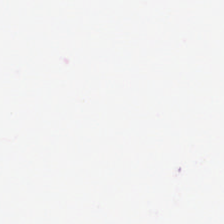H&E.
This field is background (no tissue).
